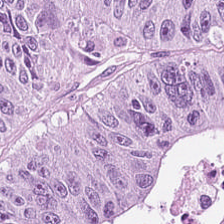Hematoxylin-and-eosin stained section · 0.5 microns per pixel.
Q: What does this patch show?
A: The field shows adenocarcinoma.
